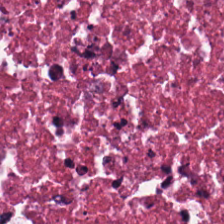H&E; whole-slide-image patch; 0.5 µm/px — Finding → debris.
